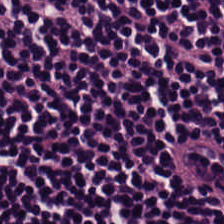0.5 microns per pixel. H&E-stained tissue section.
Showing lymphocytes.
